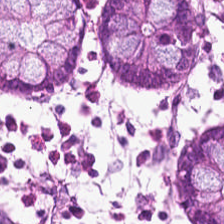Hematoxylin-and-eosin stained section.
Q: Classify this patch.
A: The field shows normal colon mucosa.
